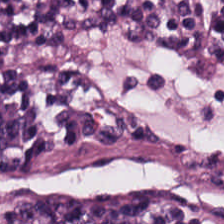Whole-slide-image patch; 224×224 px patch; H&E.
Q: What is shown in this field?
A: The field shows lymphocytes.
